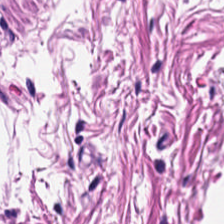The tissue here is smooth muscle.
